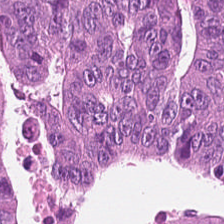Tumor epithelium.
